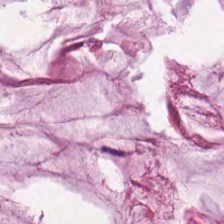Stain: hematoxylin and eosin.
Classification: extracellular mucin.
